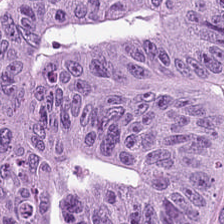Q: What is shown here?
A: Adenocarcinoma.
